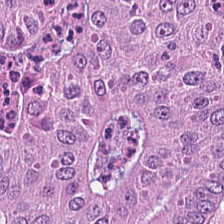H&E — colorectal adenocarcinoma.
